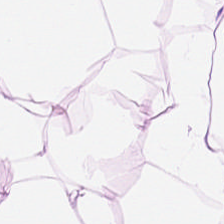Whole-slide-image patch. H&E-stained tissue section — Fat tissue.
